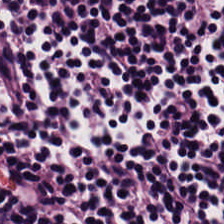Hematoxylin and eosin · 0.5 µm/px.
The tissue here is lymphoid infiltrate.
